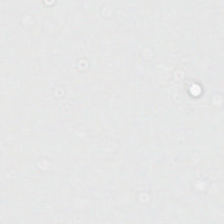0.5 microns per pixel. H&E-stained tissue section. Brightfield microscopy.
{"content": "background"}
